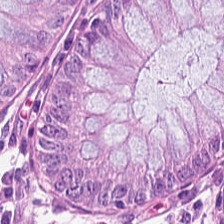H&E stain. Classification — normal colonic mucosa.
